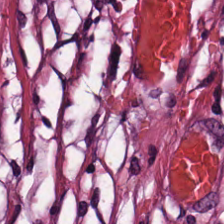Showing tumor stroma.
